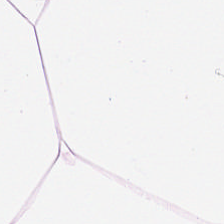Hematoxylin and eosin; WSI patch. Q: What does this patch show?
A: This is adipocytes.
